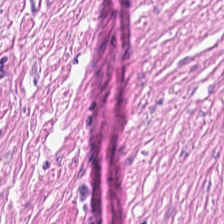0.5 microns per pixel. 224×224 pixel tile. H&E-stained tissue section. The tissue class is smooth-muscle tissue.
